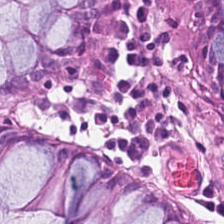Stain: hematoxylin and eosin.
Resolution: 0.5 µm per pixel.
Tile size: 224×224 px tile.
Tissue: normal colon mucosa.
